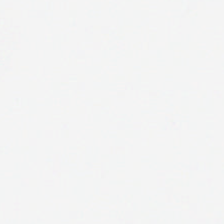Hematoxylin and eosin.
Field content: background.
